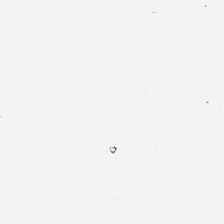H&E stain. Background — no tissue in this field.
